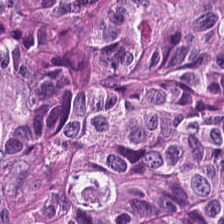H&E. Whole-slide-image patch.
Q: Classify this patch.
A: This is tumor epithelium.
